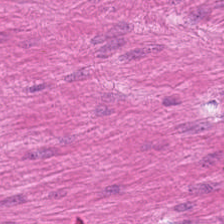WSI patch. H&E-stained tissue section. 224×224 pixel tile. Tissue class — smooth-muscle tissue.
